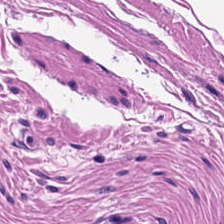Stain: H&E.
Tissue: smooth-muscle tissue.
